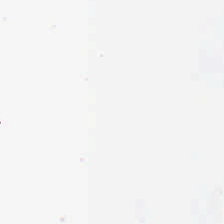H&E — {"content": "empty background"}
